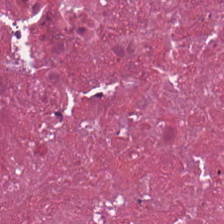Hematoxylin-and-eosin stained section — Predominant tissue = necrotic debris.
